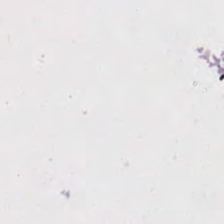H&E-stained tissue section. Classification: background.
